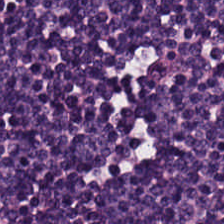Whole-slide-image patch. Hematoxylin-and-eosin stained section — Q: What is shown here?
A: It is lymphoid infiltrate.
